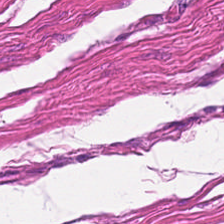Stain: hematoxylin and eosin.
Acquisition: brightfield microscopy.
Tile size: 224×224 pixel tile.
Tissue class: smooth-muscle tissue.
